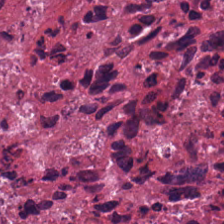0.5 microns per pixel; 224×224 pixel tile; hematoxylin-and-eosin stained section — This patch shows debris.
